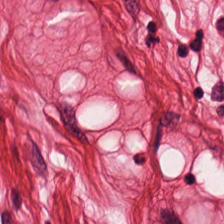Hematoxylin-and-eosin stained section · 0.5 microns per pixel. Smooth muscle.
